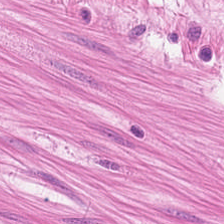Hematoxylin and eosin — Histology → smooth-muscle tissue.
